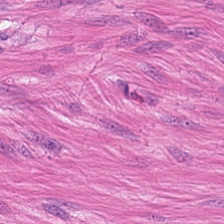Stain: hematoxylin-and-eosin stained section.
Tissue class: smooth muscle.
